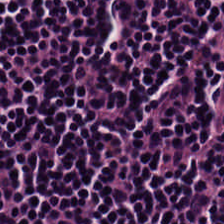H&E-stained tissue section · 0.5 microns per pixel.
Tissue class — lymphocytic infiltrate.
